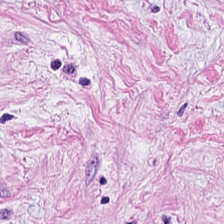0.5 microns per pixel. Hematoxylin-and-eosin stained section.
The predominant tissue is tumor-associated stroma.
